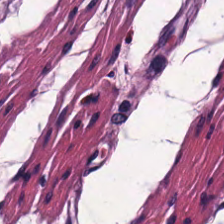H&E. Classification — muscularis.
